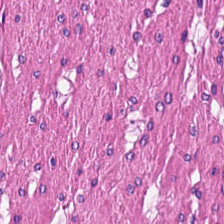H&E stain · WSI patch · 224×224 px tile. Tissue: smooth muscle.
